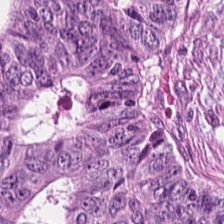The tissue class is tumor epithelium.
